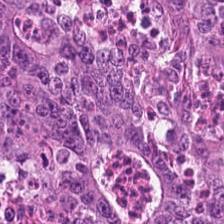H&E-stained tissue section. This patch shows adenocarcinoma.
